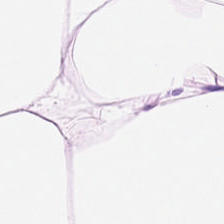H&E-stained tissue section; 224×224 pixel tile; FFPE — This patch shows adipocytes.
